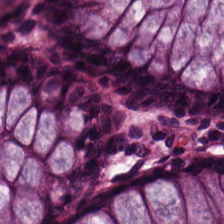H&E; 224×224 px patch; FFPE tissue section — Tissue — normal colonic mucosa.
